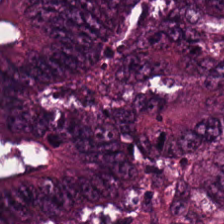Stain: H&E-stained tissue section.
Tissue class: adenocarcinoma.
